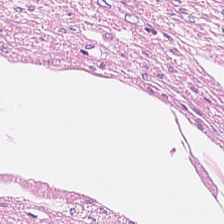Whole-slide-image patch · hematoxylin-and-eosin stained section.
Smooth-muscle tissue.
